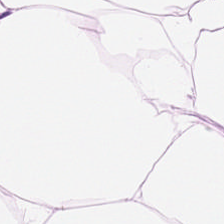Stain: H&E-stained tissue section.
Predominant tissue: fat tissue.
